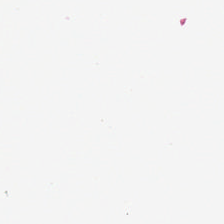H&E. Content: background (no tissue).
